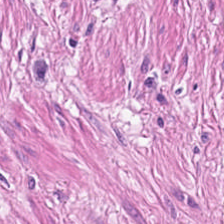Stain: hematoxylin and eosin.
Resolution: 0.5 µm per pixel.
Tissue type: smooth muscle.
